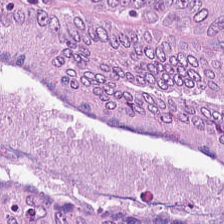Finding → colorectal adenocarcinoma epithelium.
